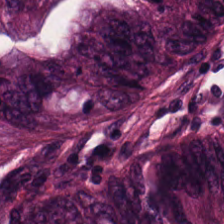H&E stain · 224×224 pixel tile — Tissue: malignant epithelium.
